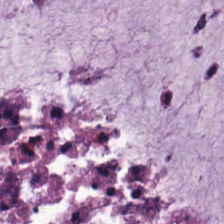Stain: H&E stain.
Tissue: mucin.
